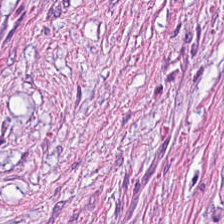Hematoxylin-and-eosin stained section.
Tumor stroma.
